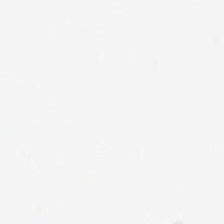Hematoxylin and eosin. Q: What does this patch show?
A: The field shows background (no tissue).
